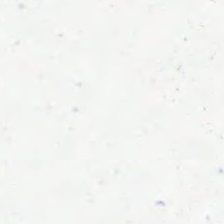Content = background.
